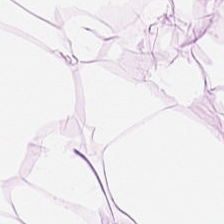Stain: H&E-stained tissue section.
Tissue: adipose tissue.
